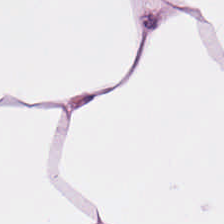Hematoxylin and eosin.
{"tissue_type": "fat tissue"}
